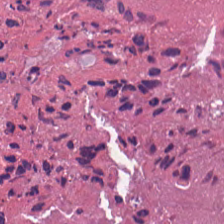Hematoxylin-and-eosin stained section. Brightfield — Q: What is shown in this field?
A: It is necrotic debris.
